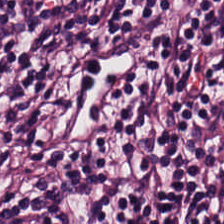Brightfield microscopy. H&E. FFPE.
The predominant tissue is lymphocytic infiltrate.
